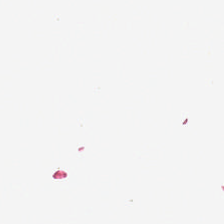FFPE. H&E.
Background — no tissue in this field.
